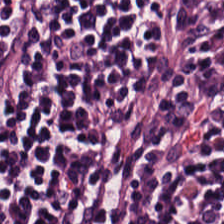FFPE tissue section; hematoxylin and eosin; whole-slide-image patch. Q: What is the predominant tissue type?
A: This is lymphocyte aggregate.
